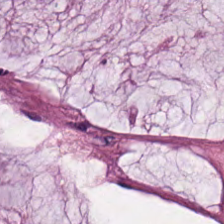Hematoxylin-and-eosin stained section.
Impression — mucus.
